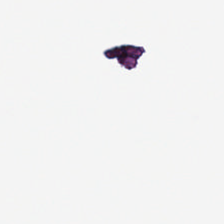Formalin-fixed paraffin-embedded section · 0.5 microns per pixel · hematoxylin-and-eosin stained section.
The content is background (no tissue).
